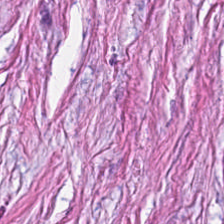H&E.
Finding — tumor stroma.
